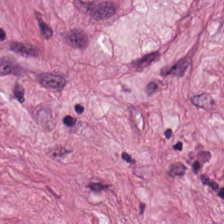Tissue type: tumor-associated stroma.
